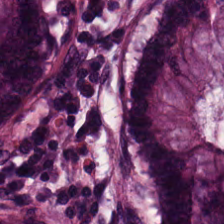Stain: H&E stain.
Acquisition: whole-slide-image patch.
Resolution: 20× equivalent magnification.
Tissue type: non-neoplastic colon mucosa.
